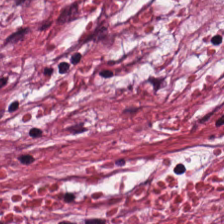0.5 µm/px; hematoxylin and eosin. Q: What is shown here?
A: Tumor-associated stroma.
